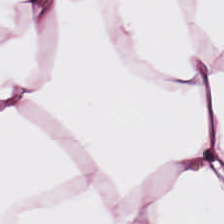H&E-stained tissue section. {"tissue_type": "adipose"}
